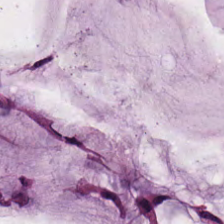Stain: hematoxylin and eosin.
Tile size: 224×224 pixel tile.
Resolution: 20× equivalent magnification.
Predominant tissue: mucus.
